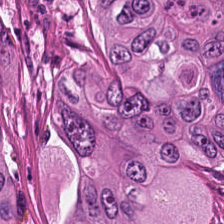Classification = adenocarcinoma.
